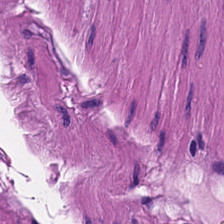H&E stain; 224×224 px patch. Tissue class: muscularis.
